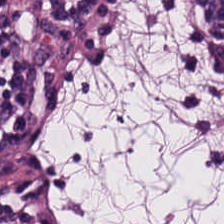H&E stain · brightfield · 224×224 px tile.
Tissue = lymphocytic infiltrate.
